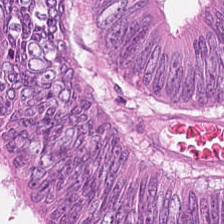224×224 pixel tile. H&E stain. Brightfield. Histology → adenocarcinoma.
